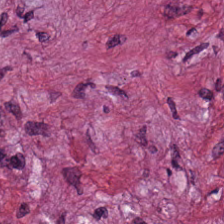Finding → cancer-associated stroma.
